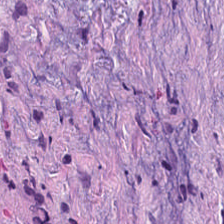Hematoxylin and eosin.
Tissue type: desmoplastic stroma.
